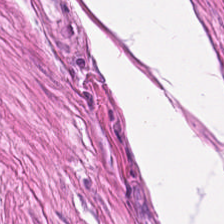H&E stain. Brightfield. The tissue here is muscularis.
